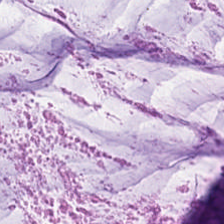H&E-stained tissue section. This field is mucin.
